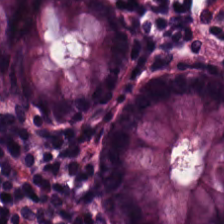H&E stain.
Tissue type — normal colon mucosa.
